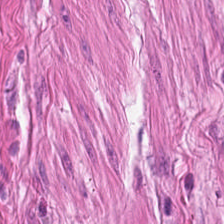Hematoxylin and eosin — The predominant tissue is muscularis.
